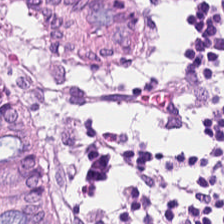H&E-stained tissue section · 224×224 pixel tile. Predominant tissue = benign colonic mucosa.
